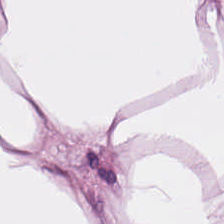0.5 µm per pixel. FFPE tissue section. H&E stain. Finding → adipocytes.
